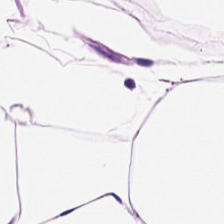Stain: hematoxylin-and-eosin stained section.
Tissue type: adipocytes.
